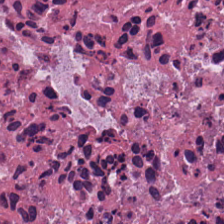224×224 px tile; H&E-stained tissue section; brightfield microscopy — Predominant tissue = necrotic debris.
